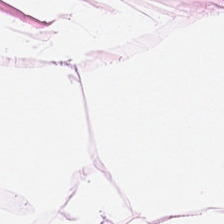Hematoxylin-and-eosin stained section — Classification — adipose tissue.
